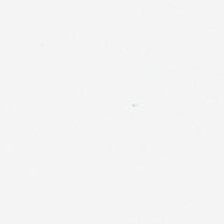WSI patch; 0.5 µm per pixel; H&E stain — Classification — background (no tissue).
